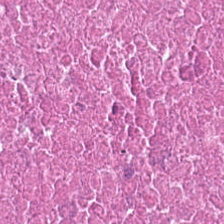Hematoxylin and eosin. FFPE tissue section. 0.5 microns per pixel.
The tissue is necrotic debris.
